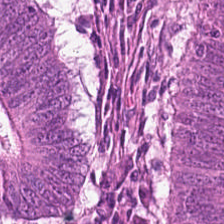The tissue here is tumor epithelium.
